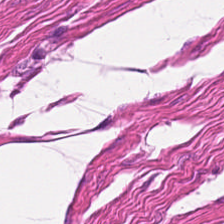H&E-stained tissue section. Predominantly muscularis.
